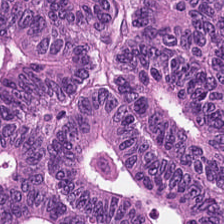Hematoxylin and eosin. Formalin-fixed paraffin-embedded section. 0.5 µm/px. Predominantly malignant epithelium.
